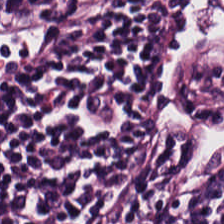H&E — lymphocytes.
